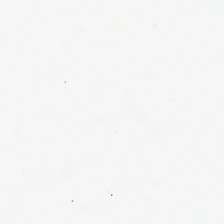H&E. Classification — background (no tissue).
